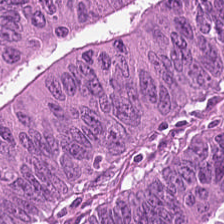H&E; 0.5 µm per pixel; brightfield microscopy. Classification — adenocarcinoma.
